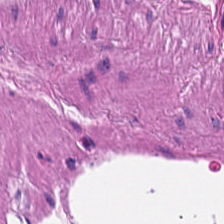H&E-stained tissue section — Predominantly smooth muscle.
